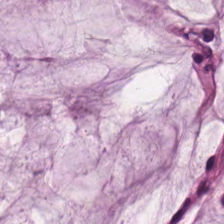Q: What tissue is shown?
A: This is mucin.
